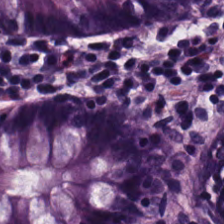H&E.
Tissue = normal colonic mucosa.
